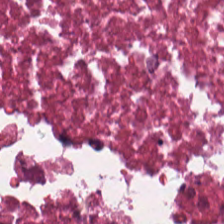H&E-stained tissue section. This patch shows cellular debris.
